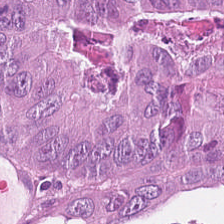20× equivalent magnification. H&E stain. Q: What tissue is shown?
A: This is malignant epithelium.
